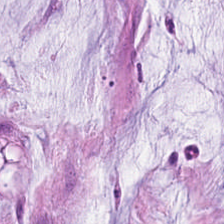224×224 pixel tile · 0.5 µm per pixel · H&E stain. The classification is mucus.
